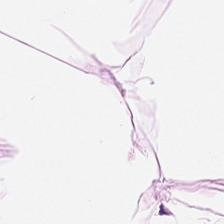Hematoxylin and eosin. Adipose.
